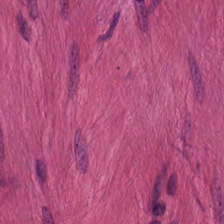Stain: H&E.
Tissue: muscularis.
